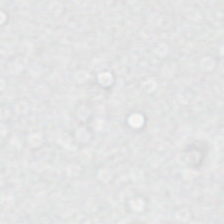Background — no tissue in this field.
